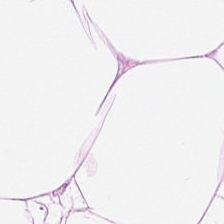0.5 µm per pixel; hematoxylin-and-eosin stained section. Q: What does this patch show?
A: Adipose.
